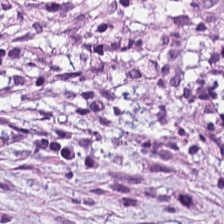Hematoxylin and eosin — This patch shows tumor stroma.
